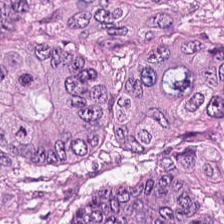Hematoxylin and eosin. Predominant tissue — colorectal adenocarcinoma epithelium.
